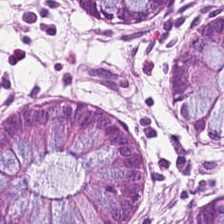FFPE · H&E stain · brightfield microscopy. Showing benign colonic mucosa.
